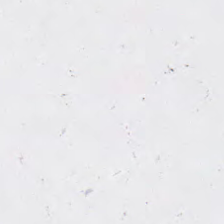Hematoxylin-and-eosin stained section — The field content is no tissue.
